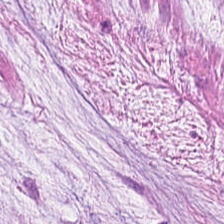H&E stain. {"tissue_type": "mucus"}
